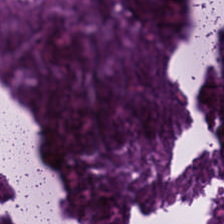Hematoxylin-and-eosin stained section. Showing necrotic debris.
